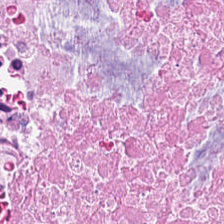Classification — debris.
